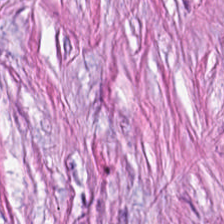H&E — The tissue here is tumor-associated stroma.
